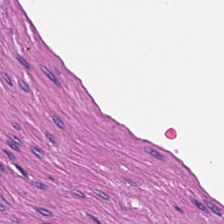The predominant tissue is muscularis.
